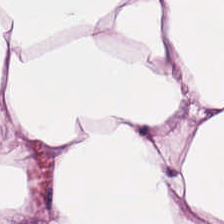Classification = adipocytes.
